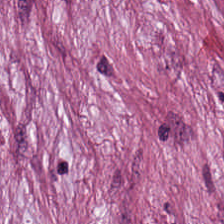H&E. Cancer-associated stroma.
